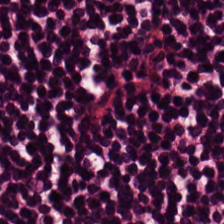0.5 microns per pixel; hematoxylin-and-eosin stained section; WSI patch — The predominant tissue is lymphocyte aggregate.
